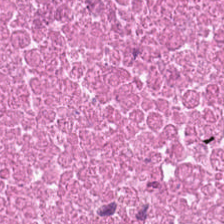Impression — necrotic debris.
